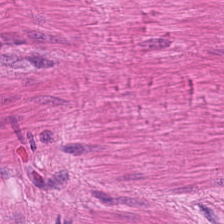Smooth-muscle tissue.
